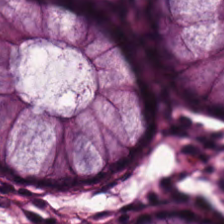Hematoxylin and eosin — Q: What is shown here?
A: Non-neoplastic colon mucosa.
